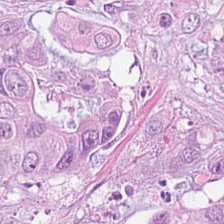Formalin-fixed paraffin-embedded section; hematoxylin and eosin.
The tissue here is malignant epithelium.
